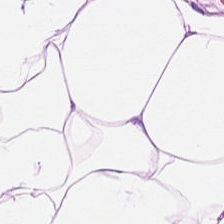Stain: hematoxylin-and-eosin stained section.
Resolution: 0.5 µm per pixel.
Classification: adipose tissue.
